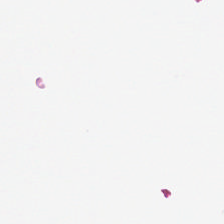H&E. Empty background.
